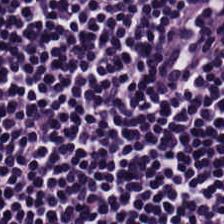Histology → lymphocyte aggregate.
